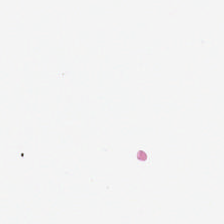Hematoxylin and eosin. 20× equivalent magnification — No tissue present; background only.
